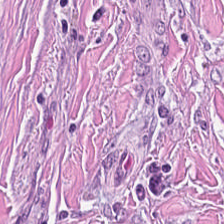H&E — Q: What type of tissue is this?
A: This is desmoplastic stroma.
